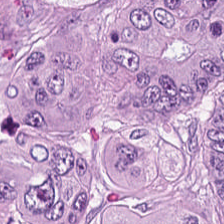H&E stain.
Tissue type — colorectal adenocarcinoma epithelium.
